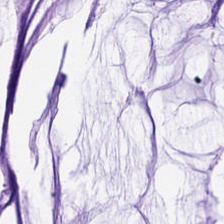Stain: H&E.
Tissue: mucin.
